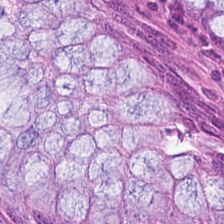Q: What type of tissue is this?
A: It is non-neoplastic colon mucosa.
